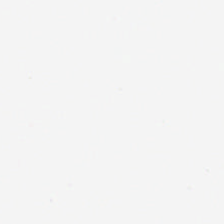H&E.
Background — no tissue in this field.
